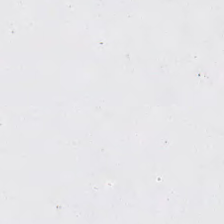No tissue present; background only.
